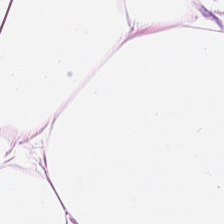WSI patch · hematoxylin and eosin — Predominant tissue = adipose tissue.
